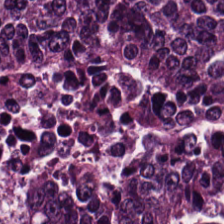Brightfield microscopy · hematoxylin-and-eosin stained section.
Tissue — tumor epithelium.
